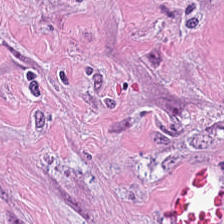FFPE tissue section; 224×224 pixel tile; H&E.
Q: Classify this patch.
A: This is tumor stroma.
